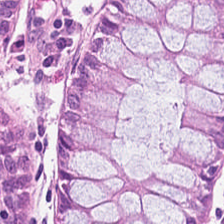Q: Identify the tissue.
A: It is benign colonic mucosa.
